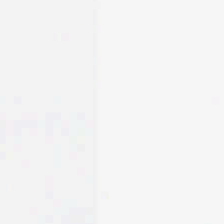Hematoxylin and eosin — Empty background.
